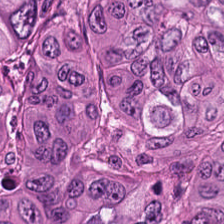H&E.
Showing colorectal adenocarcinoma epithelium.
